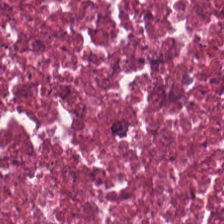Stain: H&E.
Tissue class: necrotic debris.
